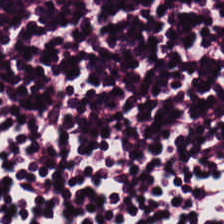H&E — Q: What is shown in this field?
A: Lymphocytes.
